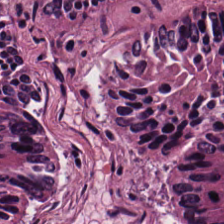Hematoxylin-and-eosin stained section.
Histology — colorectal adenocarcinoma.
